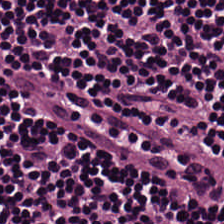Hematoxylin and eosin · whole-slide-image patch.
Classification: lymphocytes.
